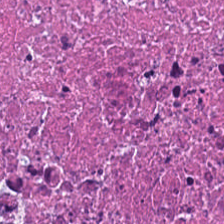Stain: hematoxylin and eosin.
Preparation: FFPE tissue section.
Tissue type: necrotic debris.
